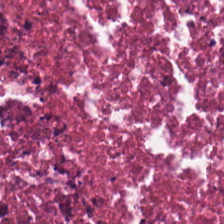H&E-stained tissue section. The tissue here is necrotic debris.
